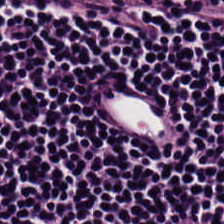H&E stain. This patch shows lymphocytic infiltrate.
